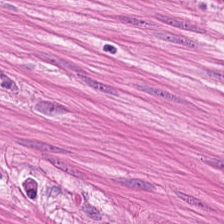Stain: H&E-stained tissue section.
Tissue: muscularis.
